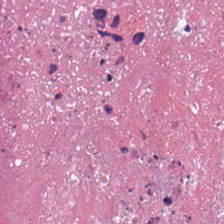Stain: hematoxylin-and-eosin stained section.
Resolution: 20× equivalent magnification.
Tissue class: necrotic debris.
